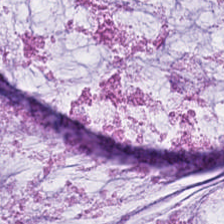Mucin.
